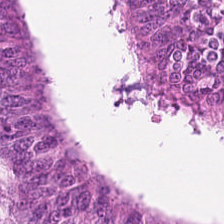Tissue class: tumor epithelium.
